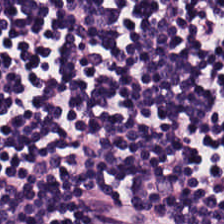Brightfield · FFPE · H&E stain — Tissue — lymphoid infiltrate.
